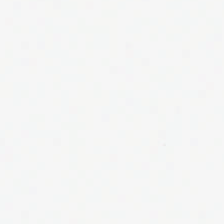Hematoxylin-and-eosin stained section — {"content": "background"}
